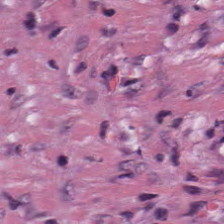H&E. 0.5 microns per pixel. FFPE tissue section — {"tissue_type": "tumor-associated stroma"}
